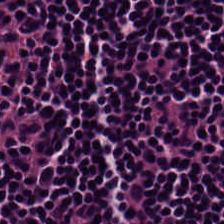Stain: hematoxylin and eosin.
Tile size: 224×224 pixel tile.
Tissue type: lymphoid infiltrate.
